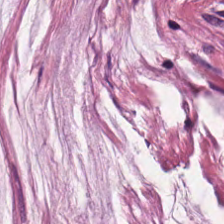20× equivalent magnification; hematoxylin-and-eosin stained section. Q: What tissue type is shown here?
A: Mucin.
